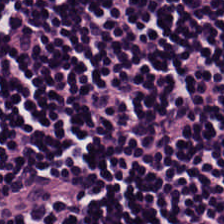224×224 pixel tile; H&E-stained tissue section. Tissue: lymphoid infiltrate.
